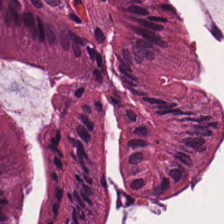Histology — benign colonic mucosa.
